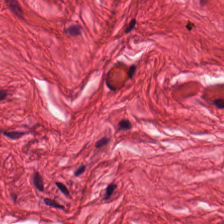Q: What tissue is shown?
A: The field shows smooth-muscle tissue.
